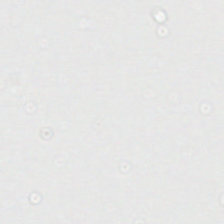Stain: H&E.
Resolution: 0.5 microns per pixel.
Acquisition: WSI patch.
Field content: no tissue.
